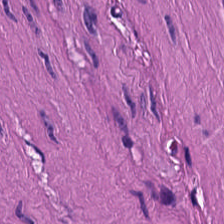H&E.
Finding → smooth-muscle tissue.
